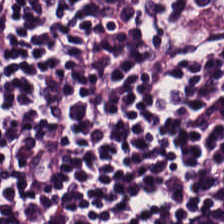Stain: H&E stain.
Classification: lymphoid infiltrate.
